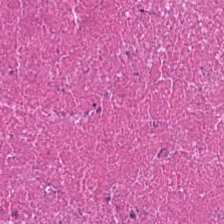Formalin-fixed paraffin-embedded section; H&E. The predominant tissue is debris.
